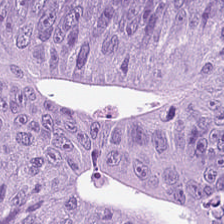Hematoxylin-and-eosin stained section — Classification = adenocarcinoma.
